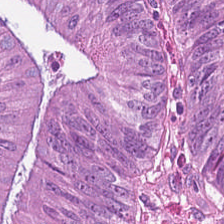H&E-stained tissue section. The tissue here is tumor epithelium.
